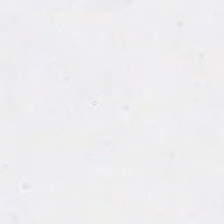H&E stain · FFPE tissue section · WSI patch. Empty field — background.
